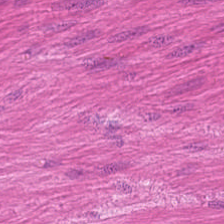FFPE tissue section. Hematoxylin and eosin. 224×224 px patch. The tissue here is smooth muscle.
